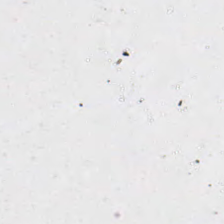Classification = background.
